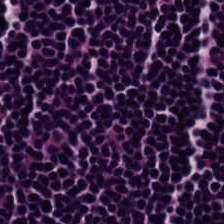0.5 µm/px; H&E. Q: What is shown in this field?
A: It is lymphoid infiltrate.
